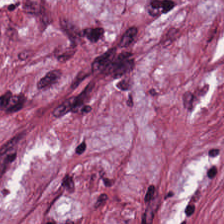WSI patch · hematoxylin and eosin — {"tissue_type": "tumor-associated stroma"}
